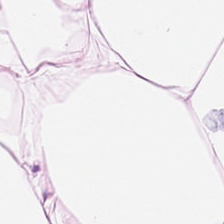This field is adipocytes.
